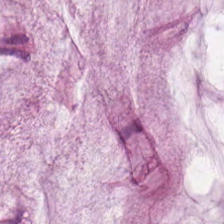H&E. Whole-slide-image patch. 0.5 µm/px.
Histology — mucus.
